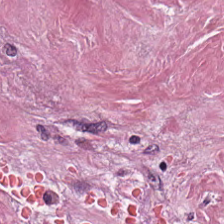Stain: hematoxylin and eosin.
Tissue type: desmoplastic stroma.
